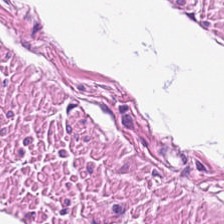H&E-stained tissue section. This patch shows smooth muscle.
